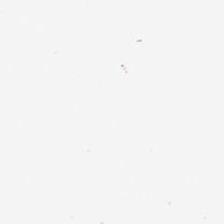224×224 px patch; 0.5 µm/px; hematoxylin-and-eosin stained section.
The classification is background.
